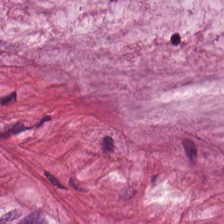Stain: H&E.
Tissue: mucus.
